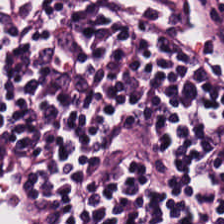H&E — Predominant tissue — lymphoid infiltrate.
